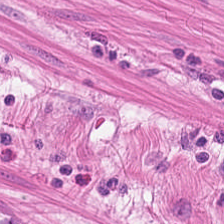Hematoxylin and eosin. Tissue class: muscularis.
